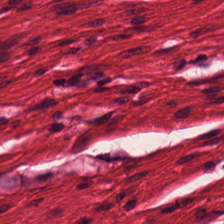224×224 px tile; H&E; whole-slide-image patch.
{"tissue_type": "smooth-muscle tissue"}
